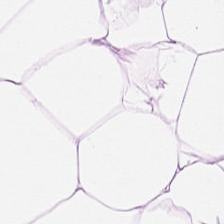Hematoxylin and eosin. Fat tissue.
